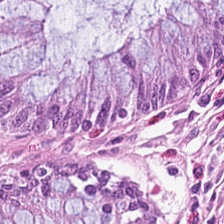Hematoxylin-and-eosin stained section — This patch shows normal colonic mucosa.
